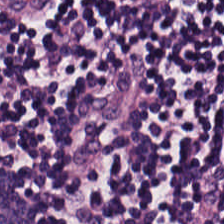FFPE; H&E stain. This field is lymphocytes.
